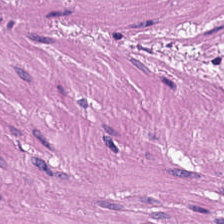H&E stain.
Classification — muscularis.
